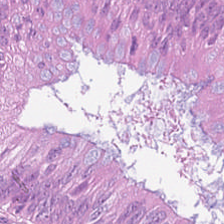Showing adenocarcinoma.
